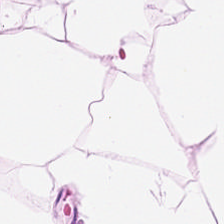0.5 microns per pixel · hematoxylin-and-eosin stained section · 224×224 px tile. Tissue = adipocytes.
